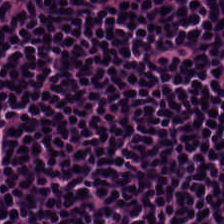224×224 pixel tile · H&E stain. The tissue is lymphocytic infiltrate.
